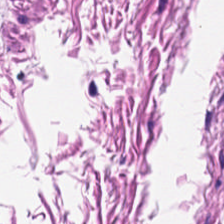224×224 pixel tile · H&E stain.
Showing smooth-muscle tissue.
